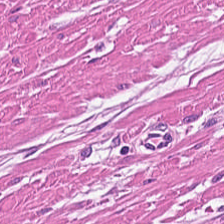H&E patch showing muscularis.
